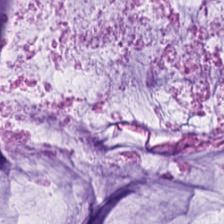224×224 px patch. Whole-slide-image patch. Hematoxylin and eosin. The classification is mucus.
